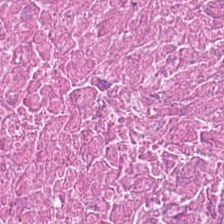0.5 µm per pixel · H&E.
Necrotic debris.
